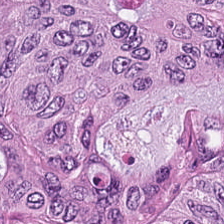WSI patch. 0.5 µm/px. H&E-stained tissue section.
Classification — colorectal adenocarcinoma.
